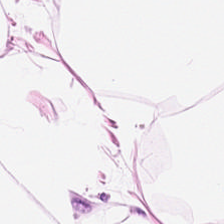Stain: H&E stain.
Classification: adipose.
